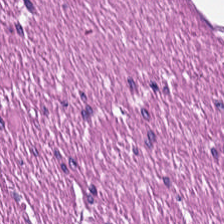H&E — smooth-muscle tissue.
